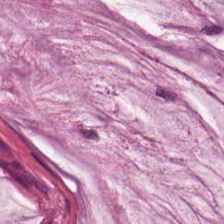Formalin-fixed paraffin-embedded section. H&E-stained tissue section — Mucin.
